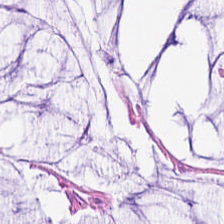H&E patch showing mucus.
